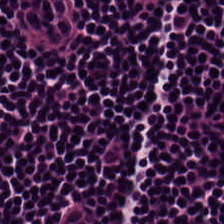224×224 px tile · H&E-stained tissue section.
This patch shows lymphocyte aggregate.
